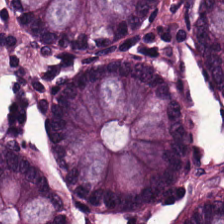H&E-stained tissue section.
The predominant tissue is normal colonic mucosa.
